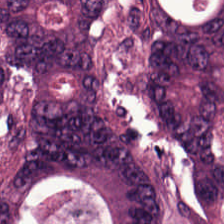The tissue here is adenocarcinoma.
